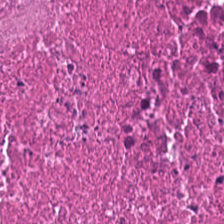H&E stain. Tissue: cellular debris.
